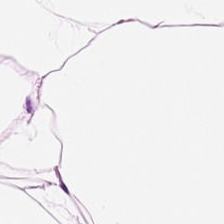Hematoxylin and eosin. Q: What tissue is shown?
A: The field shows adipose tissue.
